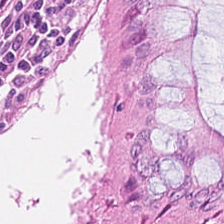Histology — normal colonic mucosa.
